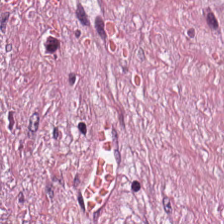0.5 microns per pixel · H&E stain. The tissue class is cancer-associated stroma.
